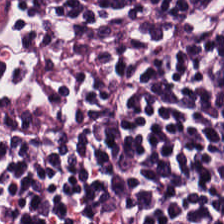Tissue: lymphocytic infiltrate.
